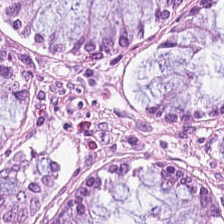Formalin-fixed paraffin-embedded section. Hematoxylin and eosin.
The tissue here is normal colonic mucosa.
